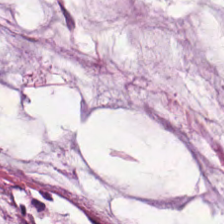Hematoxylin-and-eosin stained section; 224×224 px patch; brightfield — Q: Classify this patch.
A: Extracellular mucin.
